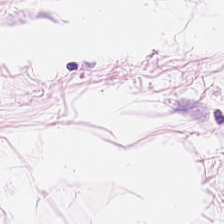Hematoxylin-and-eosin stained section — Q: What is the predominant tissue type?
A: It is fat tissue.
